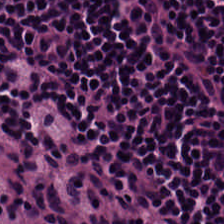Hematoxylin and eosin. Q: Identify the tissue.
A: The field shows lymphocytes.
